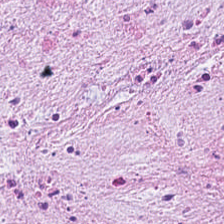Hematoxylin and eosin.
This patch shows desmoplastic stroma.
